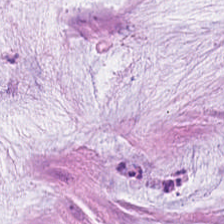Histology — extracellular mucin.
